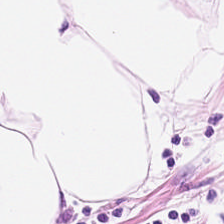H&E.
Tissue: adipose tissue.
